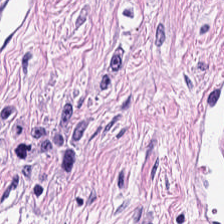Stain: hematoxylin-and-eosin stained section.
Preparation: FFPE.
Tissue type: tumor stroma.
